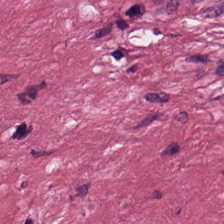H&E-stained tissue section. {"tissue_type": "cancer-associated stroma"}
